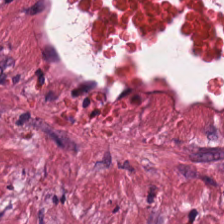0.5 µm per pixel · hematoxylin-and-eosin stained section — Predominant tissue = tumor stroma.
